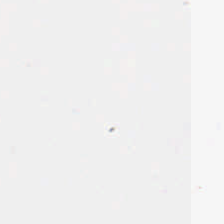Finding → background.
